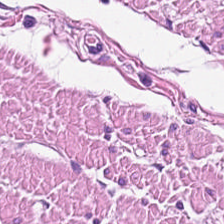224×224 px patch · hematoxylin-and-eosin stained section. The predominant tissue is muscularis.
